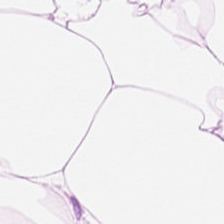Adipocytes.
